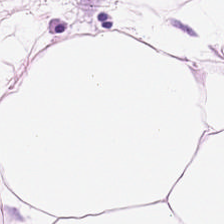Impression — adipose.
